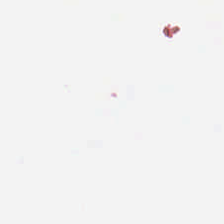H&E. The classification is background (no tissue).
